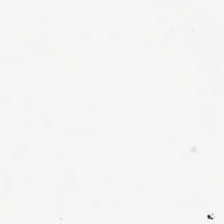Content — background.
